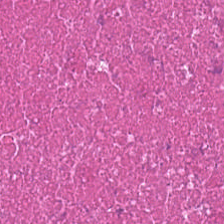H&E-stained tissue section showing cellular debris.
